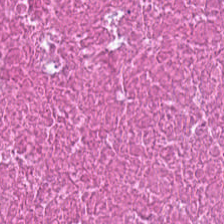Stain: H&E-stained tissue section.
Classification: debris.
